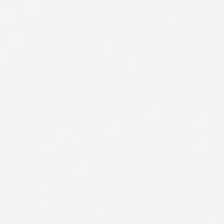H&E; 224×224 px patch. Classification: background.
